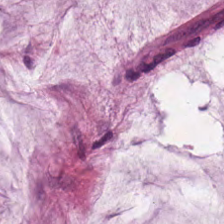H&E.
Q: Classify this patch.
A: Mucin.
